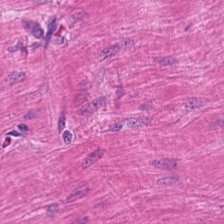Hematoxylin-and-eosin stained section. Tissue — smooth-muscle tissue.
